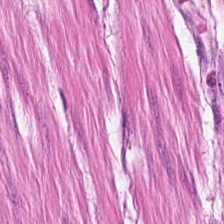Brightfield microscopy; formalin-fixed paraffin-embedded section; hematoxylin-and-eosin stained section.
Q: What tissue type is shown here?
A: This is muscularis.
